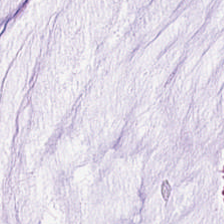This field is mucus.
